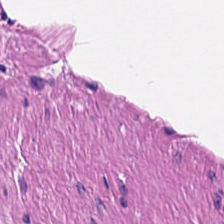H&E stain. Showing muscularis.
